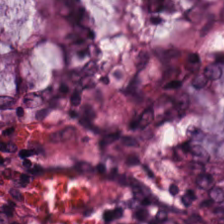H&E-stained tissue section.
The tissue is normal colon mucosa.
